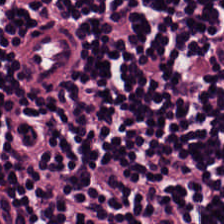Hematoxylin and eosin — This field is lymphocytes.
